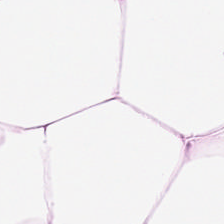Q: What is shown here?
A: It is adipose.
